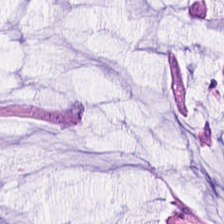224×224 pixel tile · H&E · WSI patch.
Showing mucus.
